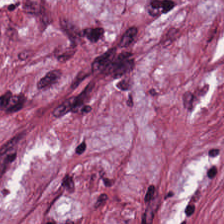The tissue class is tumor stroma.
